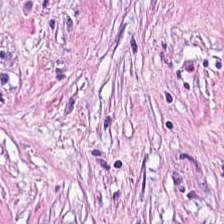H&E stain. The tissue here is tumor stroma.
